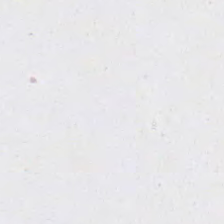H&E · FFPE tissue section · 224×224 px tile — Field content = empty background.
